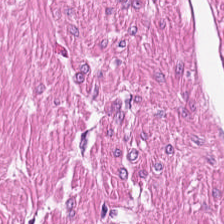H&E. 0.5 microns per pixel — Smooth muscle.
